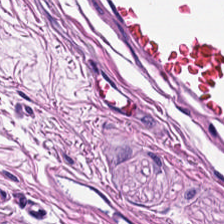Stain: H&E.
Predominant tissue: muscularis.
